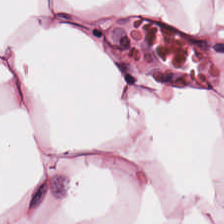Hematoxylin-and-eosin stained section. The tissue type is adipose tissue.
